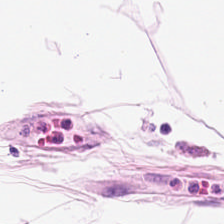Hematoxylin and eosin. Q: Identify the tissue.
A: The field shows adipocytes.
